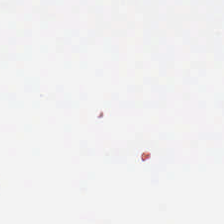Whole-slide-image patch · hematoxylin and eosin · 224×224 pixel tile. Content: empty background.
